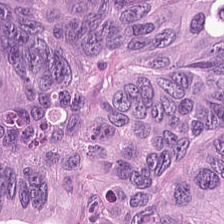H&E-stained tissue section. Predominantly malignant epithelium.
